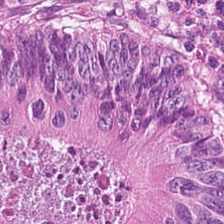Stain: hematoxylin-and-eosin stained section.
Tissue class: colorectal adenocarcinoma.
